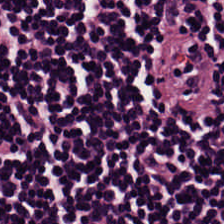H&E stain — The tissue type is lymphoid infiltrate.
